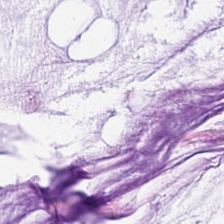Stain: H&E stain.
Tissue type: mucin.
